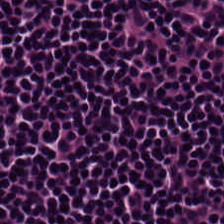WSI patch. H&E-stained tissue section. Histology — lymphocyte aggregate.
